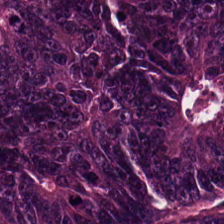224×224 pixel tile · hematoxylin and eosin.
Tissue — adenocarcinoma.
